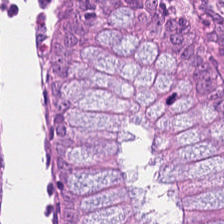H&E stain — Showing normal colonic mucosa.
